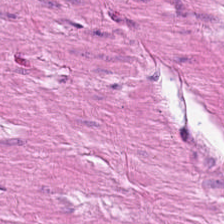H&E-stained section; the field shows smooth-muscle tissue.
